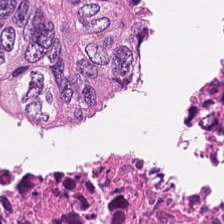H&E-stained section; the field shows necrotic debris.
